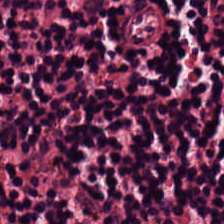Brightfield; hematoxylin and eosin.
Predominantly lymphocytes.
